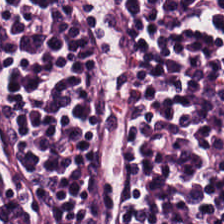WSI patch. H&E stain. Finding → lymphoid infiltrate.
